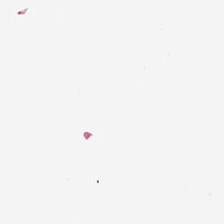Stain: H&E-stained tissue section.
Content: no tissue.
